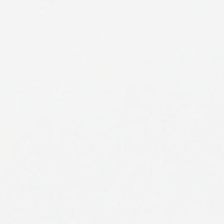Stain: H&E.
Acquisition: brightfield microscopy.
Resolution: 0.5 microns per pixel.
Classification: no tissue.
